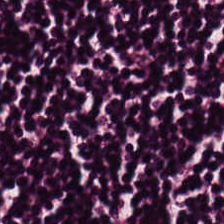Hematoxylin-and-eosin section: lymphoid infiltrate.
